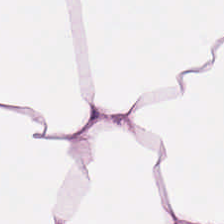Stain: H&E.
Predominant tissue: fat tissue.
